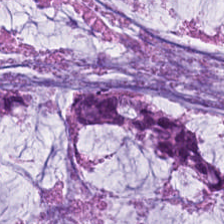Hematoxylin-and-eosin stained section. Q: What is shown here?
A: The field shows extracellular mucin.
